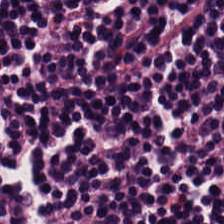Hematoxylin-and-eosin stained section. Predominant tissue = lymphoid infiltrate.
